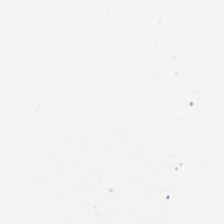H&E — Content = background.
